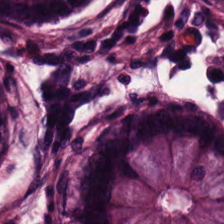H&E-stained tissue section.
Tissue type — non-neoplastic colon mucosa.
